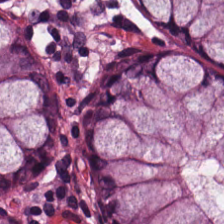Hematoxylin-and-eosin stained section.
Predominantly normal colonic mucosa.
